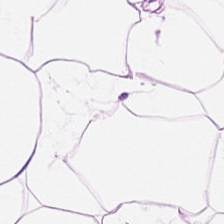Tissue type = adipose.
